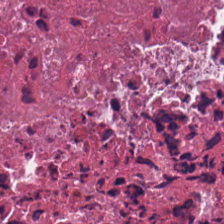Stain: hematoxylin and eosin.
Acquisition: WSI patch.
Classification: debris.
